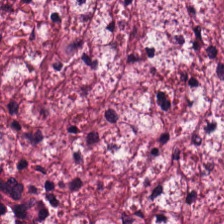H&E-stained tissue section. Predominant tissue = desmoplastic stroma.
